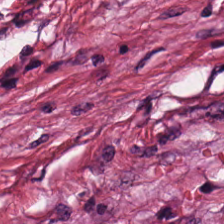Stain: hematoxylin and eosin.
Tissue type: tumor-associated stroma.
